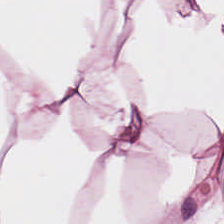H&E stain.
The tissue here is adipocytes.
